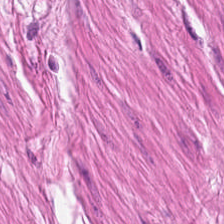H&E stain.
Predominantly muscularis.
